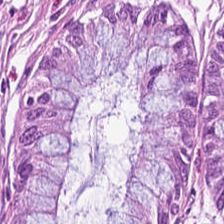Hematoxylin-and-eosin stained section · 224×224 px patch. Classification = non-neoplastic colon mucosa.
